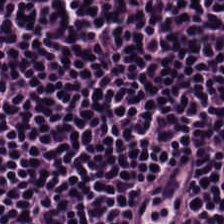H&E — Tissue type = lymphoid infiltrate.
